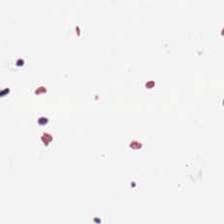H&E-stained tissue section — Background — no tissue in this field.
